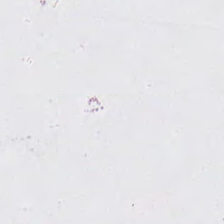Stain: H&E stain.
Field content: empty background.
